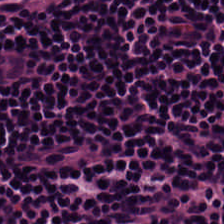H&E. Showing lymphocytic infiltrate.
